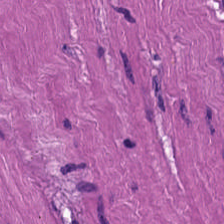H&E — Predominantly muscularis.
